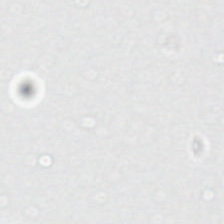20× equivalent magnification. H&E. Classification: empty background.
